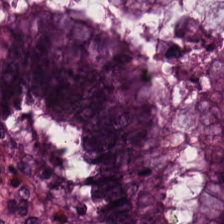H&E-stained tissue section — Q: What is shown here?
A: It is benign colonic mucosa.
